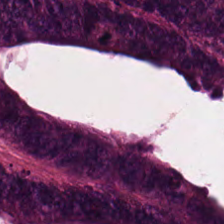0.5 µm per pixel; H&E-stained tissue section; 224×224 px tile.
Predominantly tumor epithelium.
